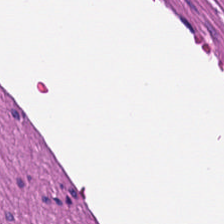Stain: H&E.
Predominant tissue: smooth-muscle tissue.
